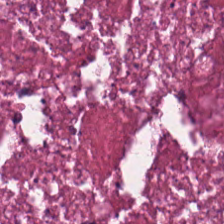H&E-stained tissue section. Tissue type — cellular debris.
